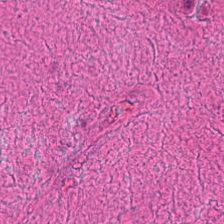H&E — Showing necrotic debris.
